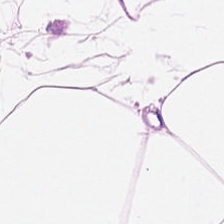Hematoxylin and eosin; 224×224 pixel tile — This field is adipose.
